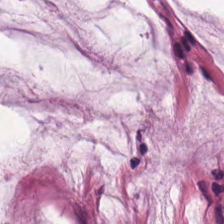20× equivalent magnification · hematoxylin-and-eosin stained section — Q: Identify the tissue.
A: This is extracellular mucin.
